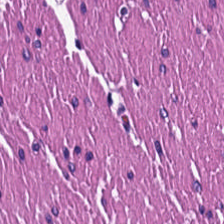0.5 µm/px · H&E-stained tissue section. This patch shows muscularis.
